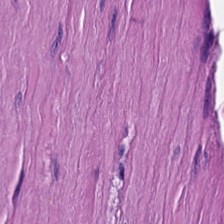H&E stain. Formalin-fixed paraffin-embedded section.
The tissue is smooth-muscle tissue.
